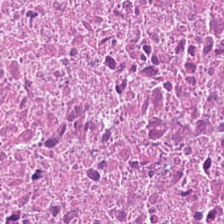Hematoxylin-and-eosin stained section.
The predominant tissue is necrotic debris.
